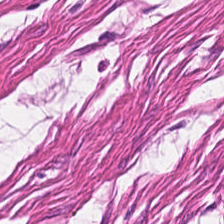Hematoxylin-and-eosin stained section · 0.5 µm/px — Q: What tissue is shown?
A: The field shows smooth-muscle tissue.
